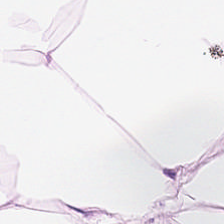FFPE tissue section. Hematoxylin-and-eosin stained section. 224×224 px patch. Fat tissue.
